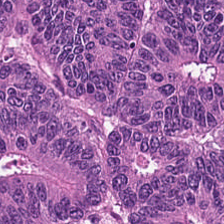Malignant epithelium.
